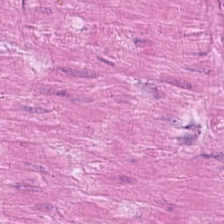Whole-slide-image patch; H&E-stained tissue section. {"tissue_type": "smooth-muscle tissue"}
